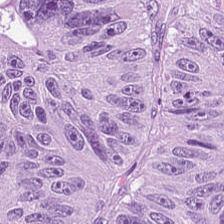Hematoxylin and eosin. Brightfield. 224×224 px patch. Predominantly tumor epithelium.
